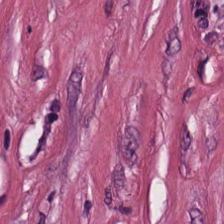H&E stain; 224×224 pixel tile.
This field is desmoplastic stroma.
